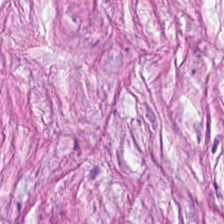H&E — desmoplastic stroma.
